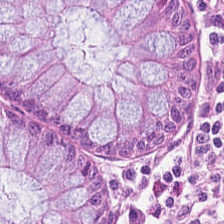FFPE; 224×224 px tile; hematoxylin-and-eosin stained section — Finding — benign colonic mucosa.
